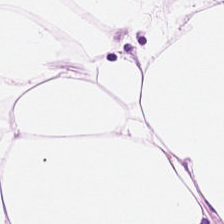0.5 µm per pixel · H&E-stained tissue section · 224×224 px tile — Adipose tissue.
